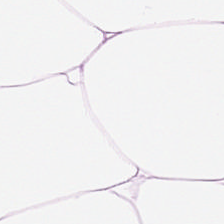Q: Identify the tissue.
A: It is adipocytes.
